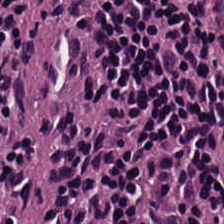FFPE tissue section; hematoxylin and eosin.
Q: Identify the tissue.
A: The field shows lymphocytes.
